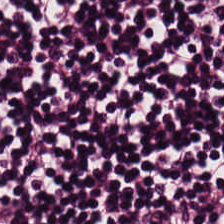224×224 px patch; H&E stain — This field is lymphocytes.
